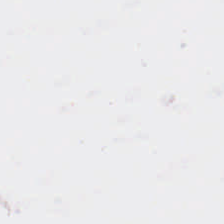H&E stain. Classification — background (no tissue).
